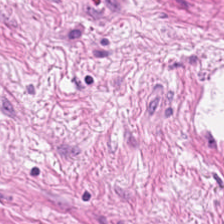224×224 px tile · H&E-stained tissue section. Q: What is the predominant tissue type?
A: Smooth muscle.
